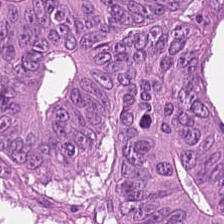WSI patch · H&E · FFPE. The predominant tissue is tumor epithelium.
